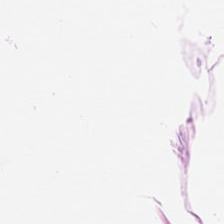H&E stain — Predominantly adipose tissue.
